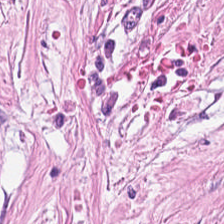H&E-stained tissue section. {"tissue_type": "cancer-associated stroma"}
